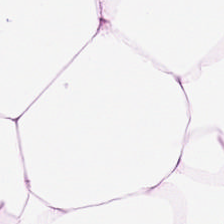Hematoxylin and eosin. Adipose.
